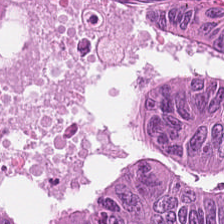0.5 µm per pixel · hematoxylin-and-eosin stained section.
{"tissue_type": "adenocarcinoma"}
